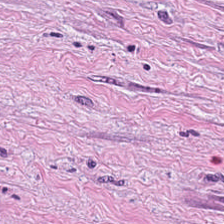This patch shows cancer-associated stroma.
